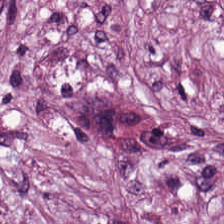H&E stain. Brightfield microscopy.
{"tissue_type": "tumor stroma"}
